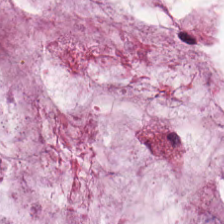Stain: hematoxylin and eosin.
Tile size: 224×224 px patch.
Tissue class: extracellular mucin.
